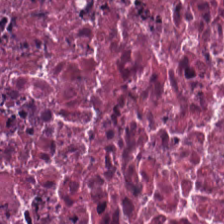Q: What is shown here?
A: This is necrotic debris.
